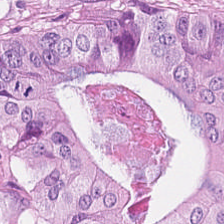20× equivalent magnification; 224×224 pixel tile; hematoxylin-and-eosin stained section.
The tissue here is malignant epithelium.
